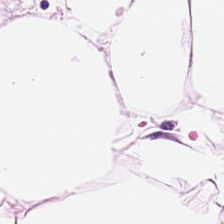Stain: H&E stain.
Classification: adipose.
